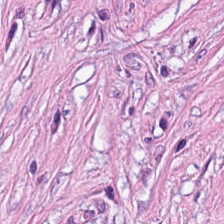H&E stain — Tumor stroma.
